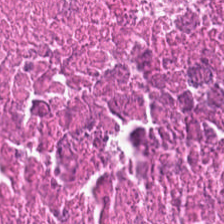H&E-stained tissue section; 0.5 microns per pixel; brightfield microscopy. Q: What type of tissue is this?
A: This is necrotic debris.
